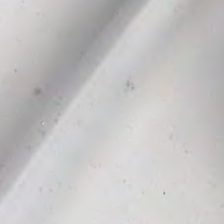Hematoxylin and eosin; 0.5 microns per pixel. No tissue present; background only.
